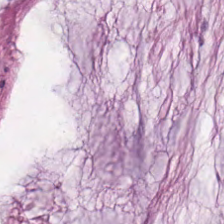H&E-stained tissue section. The predominant tissue is extracellular mucin.
